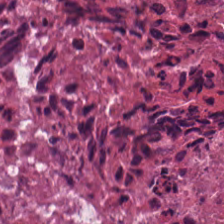Hematoxylin and eosin · brightfield microscopy.
The predominant tissue is necrotic debris.
